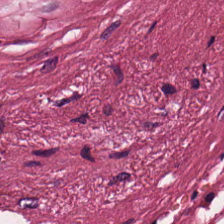H&E-stained tissue section.
The tissue here is tumor stroma.
